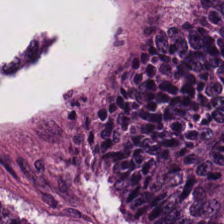Stain: H&E stain.
Tissue type: colorectal adenocarcinoma.
